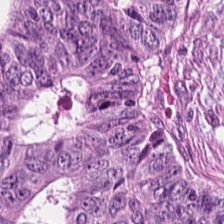Q: Classify this patch.
A: The field shows adenocarcinoma.
